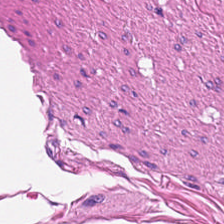H&E.
Q: What is shown in this field?
A: Muscularis.
